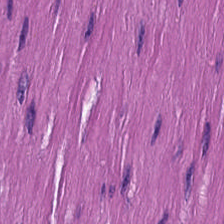H&E stain; whole-slide-image patch; formalin-fixed paraffin-embedded section.
Predominantly smooth-muscle tissue.
